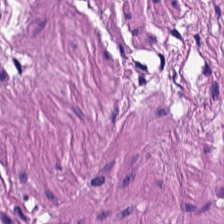H&E-stained section; the field shows smooth-muscle tissue.
